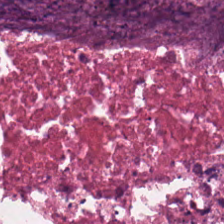Cellular debris.
